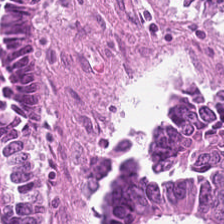Q: What tissue is shown?
A: Malignant epithelium.
